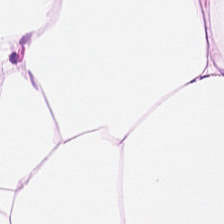Stain: H&E.
Classification: adipocytes.
